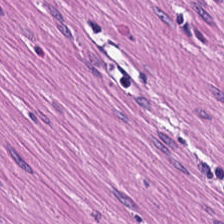H&E stain.
This field is smooth muscle.
